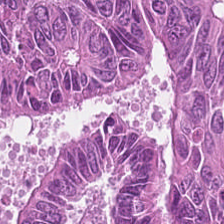20× equivalent magnification · hematoxylin-and-eosin stained section. Predominantly malignant epithelium.
